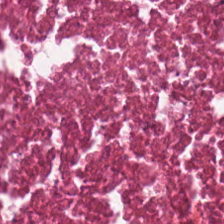Q: What type of tissue is this?
A: It is necrotic debris.
